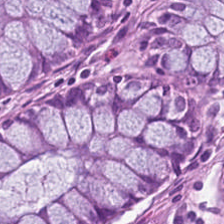0.5 microns per pixel · hematoxylin and eosin. Classification = benign colonic mucosa.
